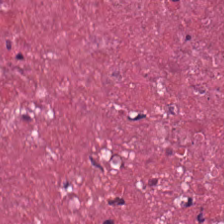H&E-stained tissue section.
Finding → cellular debris.
